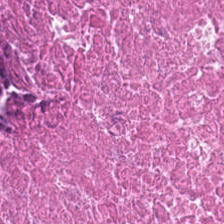224×224 px tile. Hematoxylin-and-eosin stained section.
Tissue type = debris.
